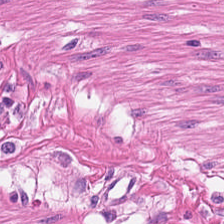H&E-stained tissue section — The predominant tissue is muscularis.
